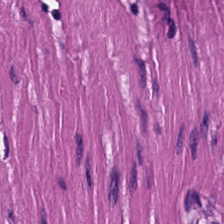0.5 microns per pixel · hematoxylin-and-eosin stained section. Q: Identify the tissue.
A: This is muscularis.
